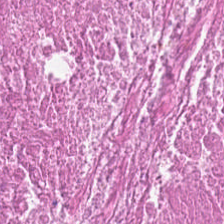Stain: hematoxylin-and-eosin stained section.
Classification: cellular debris.
